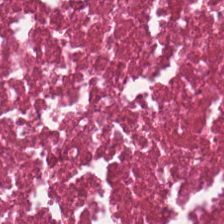Histology → cellular debris.
